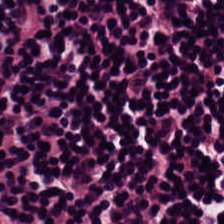Hematoxylin-and-eosin stained section · FFPE — Q: What tissue is shown?
A: It is lymphoid infiltrate.
